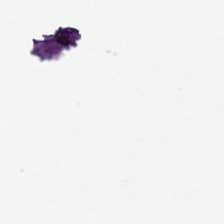Stain: H&E.
Field content: no tissue.
